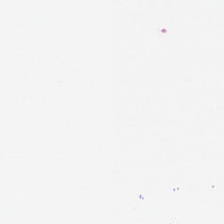FFPE tissue section; 20× equivalent magnification; hematoxylin and eosin. Classification — empty background.
